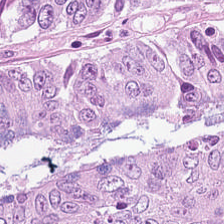20× equivalent magnification. H&E-stained tissue section. 224×224 pixel tile — This patch shows colorectal adenocarcinoma epithelium.
